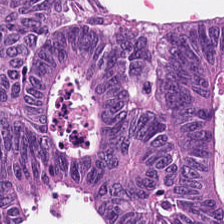H&E · 0.5 microns per pixel · FFPE.
{"tissue_type": "colorectal adenocarcinoma"}
